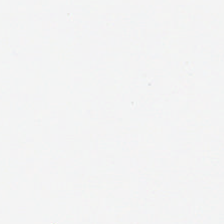Hematoxylin and eosin · FFPE tissue section.
Empty field — empty background.
